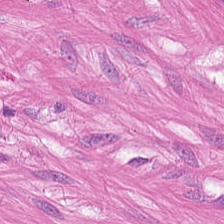0.5 µm/px; H&E-stained tissue section — Q: What tissue is shown?
A: The field shows muscularis.
